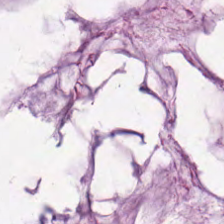H&E-stained tissue section · 20× equivalent magnification.
{"tissue_type": "mucin"}
